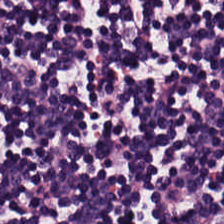This field is lymphoid infiltrate.
